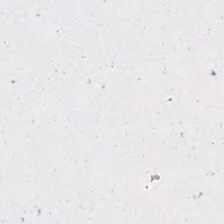H&E.
This patch shows empty background.
